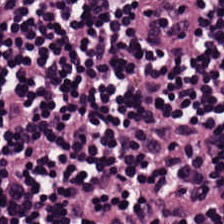H&E stain.
This field is lymphocytes.
